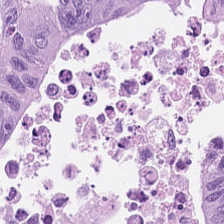Stain: hematoxylin-and-eosin stained section.
Tissue class: colorectal adenocarcinoma epithelium.
